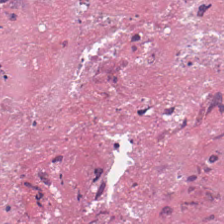The classification is debris.
